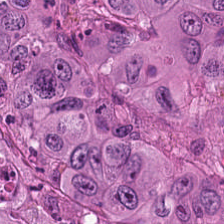Stain: hematoxylin and eosin.
Tile size: 224×224 pixel tile.
Acquisition: brightfield.
Tissue class: tumor epithelium.
